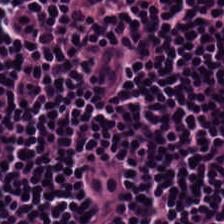H&E-stained section; the field shows lymphoid infiltrate.
